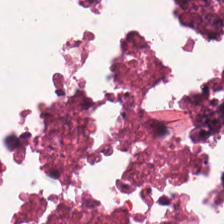Hematoxylin-and-eosin stained section — Predominant tissue = debris.
